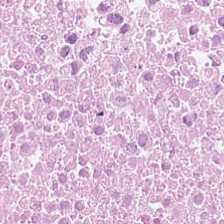Predominantly cellular debris.
